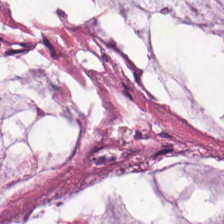Stain: hematoxylin and eosin.
Predominant tissue: extracellular mucin.
